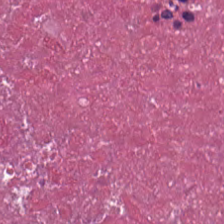H&E. This patch shows cellular debris.
